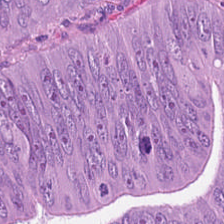Stain: hematoxylin and eosin.
Tissue type: malignant epithelium.
